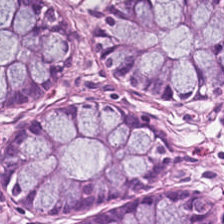Hematoxylin and eosin — Showing normal colonic mucosa.
